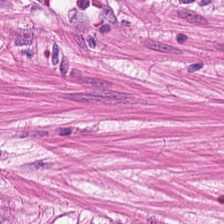Stain: H&E-stained tissue section.
Acquisition: WSI patch.
Predominant tissue: smooth-muscle tissue.
